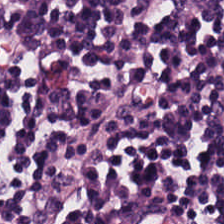Hematoxylin and eosin · brightfield.
Histology → lymphoid infiltrate.
